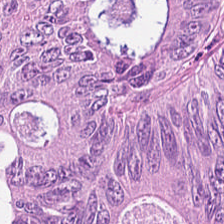H&E stain. Finding → colorectal adenocarcinoma epithelium.
